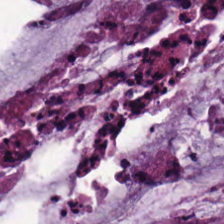H&E-stained tissue section — The predominant tissue is extracellular mucin.
